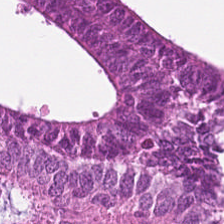Stain: H&E.
Preparation: formalin-fixed paraffin-embedded section.
Tissue: colorectal adenocarcinoma epithelium.
